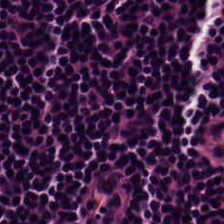H&E-stained tissue section. 224×224 px tile. Brightfield.
Histology → lymphoid infiltrate.
